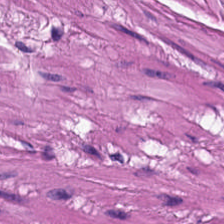Tissue type = smooth-muscle tissue.
